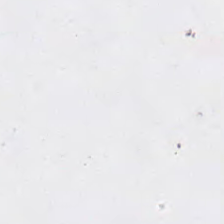H&E-stained tissue section.
Histology — empty background.
